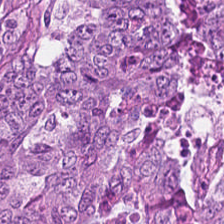Brightfield microscopy; H&E — Tumor epithelium.
